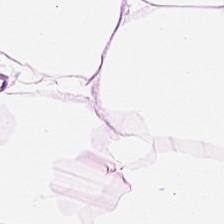Brightfield. H&E-stained tissue section — {"tissue_type": "fat tissue"}
